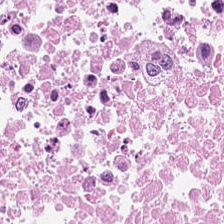Hematoxylin and eosin — Finding — debris.
